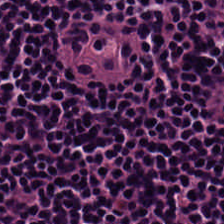H&E stain; 224×224 pixel tile; whole-slide-image patch. Showing lymphocyte aggregate.
